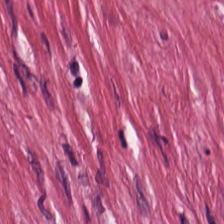H&E stain — Q: What tissue is shown?
A: This is tumor-associated stroma.
